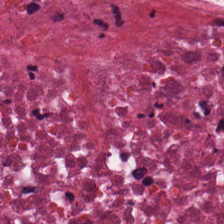H&E stain. {"tissue_type": "cellular debris"}
